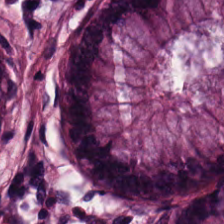H&E stain.
Q: What tissue type is shown here?
A: The field shows benign colonic mucosa.
